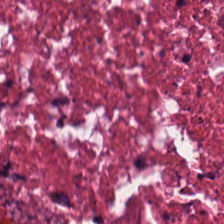224×224 px tile. H&E. Formalin-fixed paraffin-embedded section. Classification = necrotic debris.
